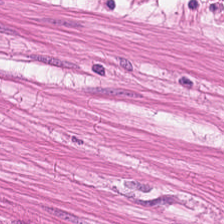H&E-stained tissue section. The predominant tissue is smooth muscle.
